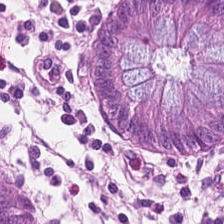H&E-stained tissue section · formalin-fixed paraffin-embedded section. The tissue here is benign colonic mucosa.
